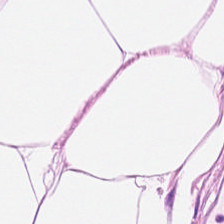Stain: hematoxylin and eosin.
Resolution: 0.5 microns per pixel.
Preparation: FFPE.
Predominant tissue: adipose.
